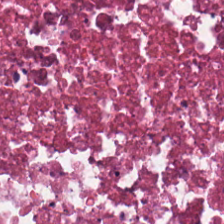Hematoxylin-and-eosin stained section. Brightfield microscopy.
Predominantly necrotic debris.
